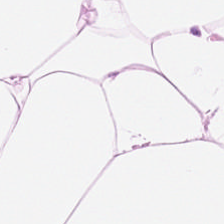Whole-slide-image patch · hematoxylin-and-eosin stained section · 0.5 µm/px. Histology → fat tissue.
